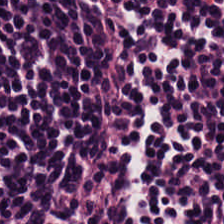H&E-stained tissue section.
Q: What is shown in this field?
A: Lymphoid infiltrate.
